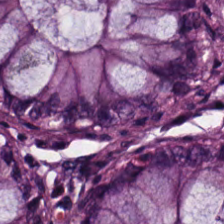H&E-stained tissue section. The tissue here is normal colonic mucosa.
